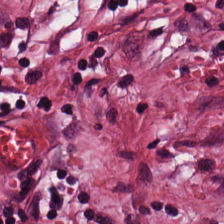Tissue type — tumor-associated stroma.
